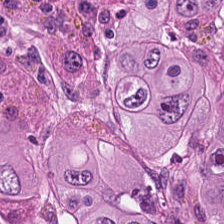0.5 µm/px. H&E. Q: What tissue is shown?
A: It is colorectal adenocarcinoma.
